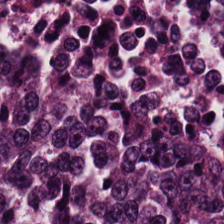H&E stain.
Q: What tissue type is shown here?
A: This is colorectal adenocarcinoma epithelium.
